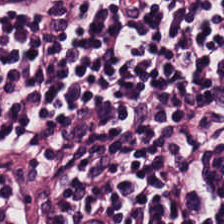H&E stain. 224×224 px patch. Predominant tissue: lymphoid infiltrate.
